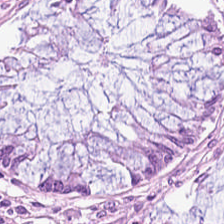WSI patch · FFPE tissue section · hematoxylin-and-eosin stained section. {"tissue_type": "normal colonic mucosa"}
